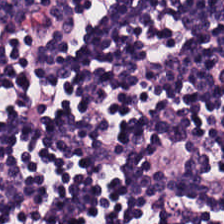Formalin-fixed paraffin-embedded section. Whole-slide-image patch. H&E stain.
The tissue class is lymphocyte aggregate.
